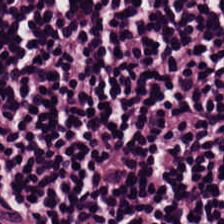FFPE tissue section · H&E stain · 224×224 pixel tile. Lymphocyte aggregate.
